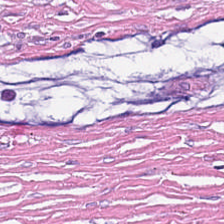{"tissue_type": "cancer-associated stroma"}
